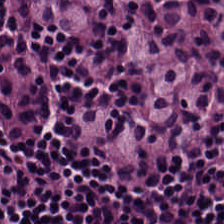{"tissue_type": "lymphocytes"}
